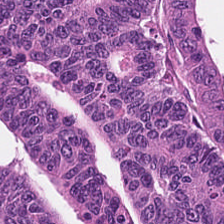Hematoxylin and eosin.
Tissue: malignant epithelium.
